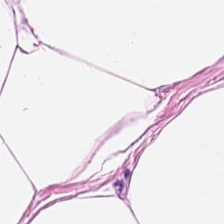H&E-stained tissue section.
Q: Identify the tissue.
A: This is adipose.
